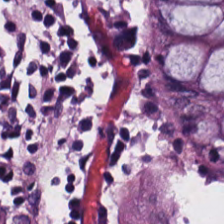H&E-stained tissue section.
Predominant tissue = non-neoplastic colon mucosa.
